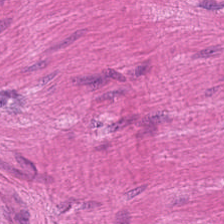Hematoxylin and eosin.
Impression — muscularis.
